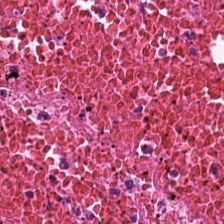H&E stain. Q: Classify this patch.
A: This is debris.
